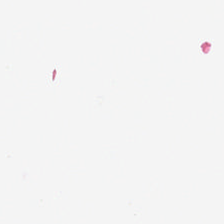Q: Classify this patch.
A: No tissue.
